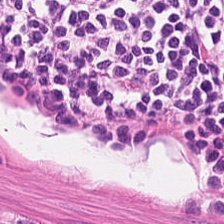Hematoxylin and eosin. Brightfield. FFPE.
Tissue type = muscularis.
